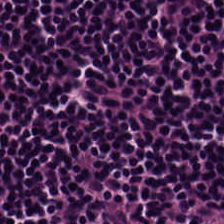Hematoxylin and eosin. FFPE.
Q: What is shown in this field?
A: The field shows lymphocyte aggregate.
